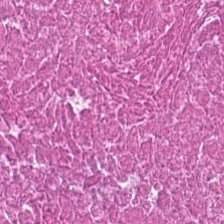H&E — Tissue class — necrotic debris.
